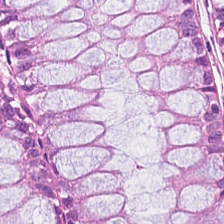H&E stain. Showing normal colonic mucosa.
